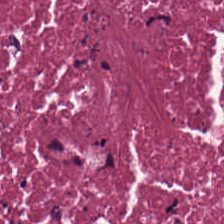Hematoxylin-and-eosin section: necrotic debris.
